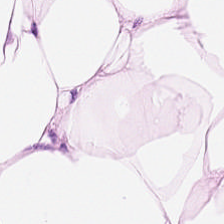0.5 microns per pixel; H&E; formalin-fixed paraffin-embedded section — Tissue class — adipocytes.
